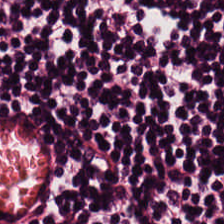224×224 px patch · hematoxylin-and-eosin stained section — Tissue type — lymphoid infiltrate.
